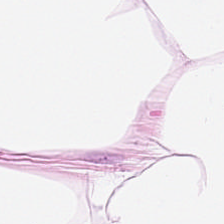H&E stain. 0.5 microns per pixel. Adipose.
